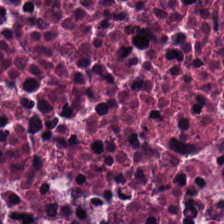Formalin-fixed paraffin-embedded section · H&E — Finding — necrotic debris.
